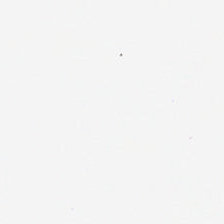H&E.
Histology → no tissue.
